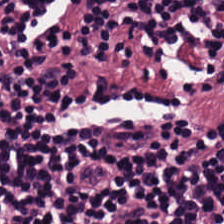Stain: H&E.
Acquisition: WSI patch.
Predominant tissue: lymphocytic infiltrate.
